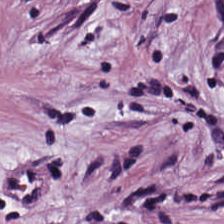Stain: hematoxylin-and-eosin stained section.
Classification: desmoplastic stroma.
